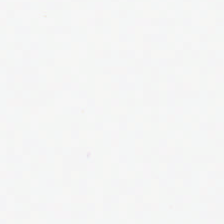Empty field — empty background.
